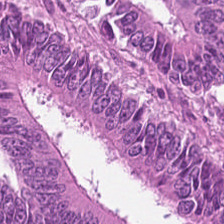FFPE tissue section; H&E — {"tissue_type": "malignant epithelium"}
